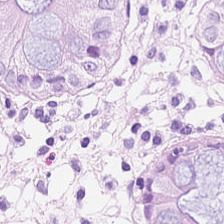Showing non-neoplastic colon mucosa.
